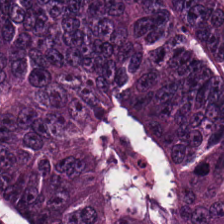H&E stain · WSI patch. Tissue class: malignant epithelium.
